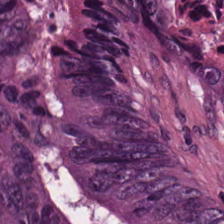Finding → cellular debris.
